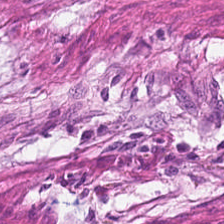Formalin-fixed paraffin-embedded section; hematoxylin and eosin; brightfield microscopy.
Showing desmoplastic stroma.
